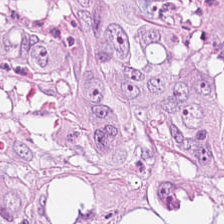Hematoxylin and eosin.
The tissue class is malignant epithelium.
